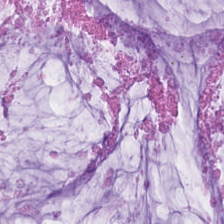Brightfield microscopy. Hematoxylin-and-eosin stained section — Mucus.
